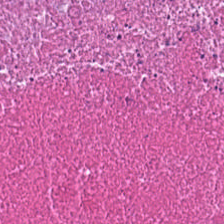224×224 px patch. H&E stain. Whole-slide-image patch — The tissue here is cellular debris.
